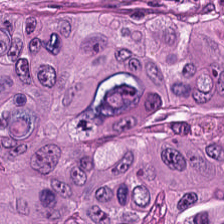H&E · FFPE.
{"tissue_type": "tumor epithelium"}
